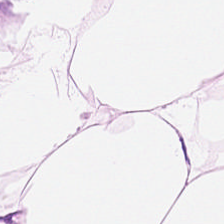Q: What is the predominant tissue type?
A: Fat tissue.
